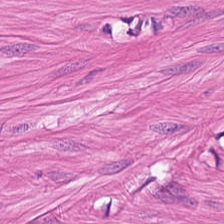Hematoxylin and eosin — Q: What is the predominant tissue type?
A: Smooth muscle.
